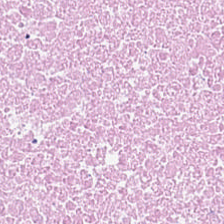H&E-stained tissue section — The predominant tissue is debris.
